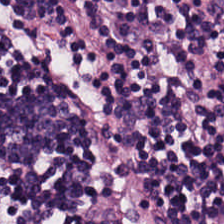Q: What tissue is shown?
A: This is lymphocyte aggregate.
